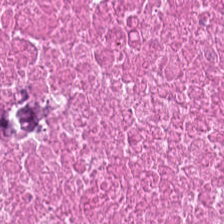H&E; 224×224 pixel tile.
Predominantly necrotic debris.
